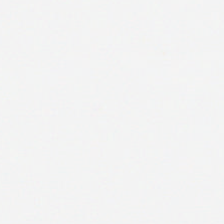No tissue present; background only.
